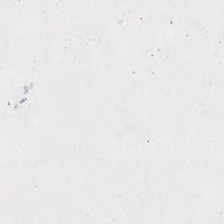Hematoxylin and eosin; whole-slide-image patch — Field content: empty background.
